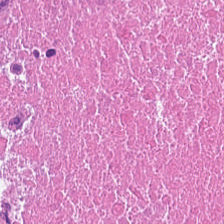H&E-stained tissue section — Predominant tissue — debris.
